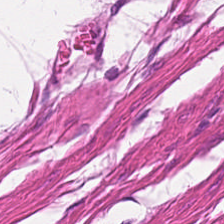Stain: hematoxylin-and-eosin stained section.
Tissue type: smooth muscle.
